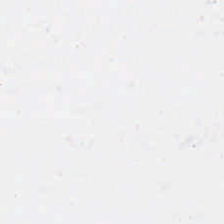H&E. {"content": "no tissue"}
